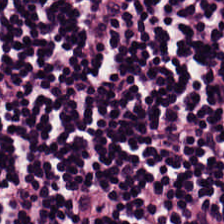224×224 px patch · hematoxylin-and-eosin stained section. Q: What does this patch show?
A: The field shows lymphocytes.
